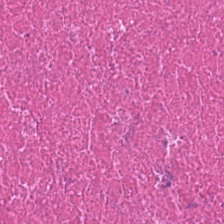224×224 px patch · FFPE tissue section · hematoxylin-and-eosin stained section. Predominant tissue = necrotic debris.
